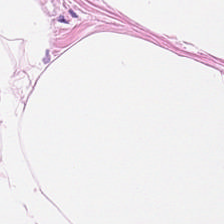Q: What is the predominant tissue type?
A: It is adipose.
